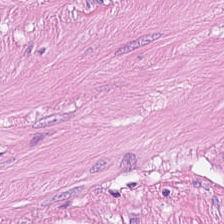H&E stain — Q: What tissue is shown?
A: It is muscularis.
